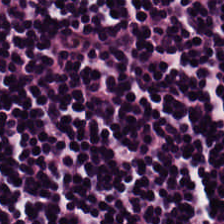Stain: hematoxylin-and-eosin stained section.
Acquisition: brightfield microscopy.
Resolution: 0.5 microns per pixel.
Tissue type: lymphocytic infiltrate.
